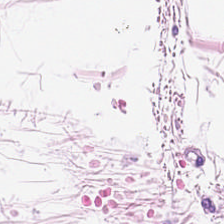Adipocytes.
